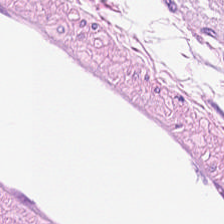H&E stain — Finding — adipose tissue.
